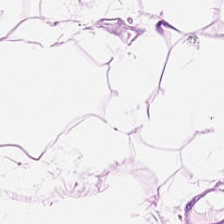Adipose.
